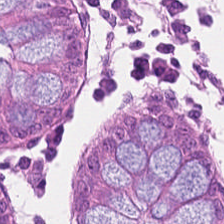H&E.
This patch shows benign colonic mucosa.
